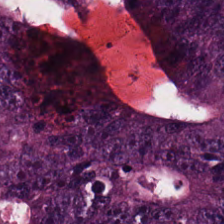Q: Identify the tissue.
A: Adenocarcinoma.
